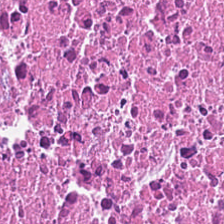224×224 pixel tile. Hematoxylin and eosin. WSI patch — This field is cellular debris.
